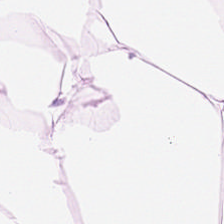H&E stain; WSI patch — This field is adipose.
